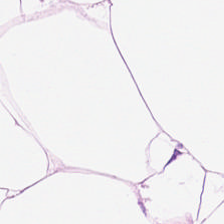H&E-stained tissue section; 224×224 px tile — Adipocytes.
